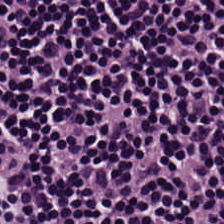H&E — {"tissue_type": "lymphocytes"}
